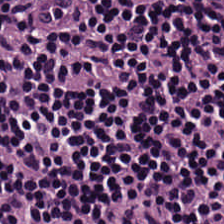H&E-stained section; the field shows lymphoid infiltrate.
